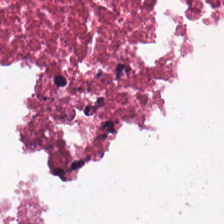H&E stain.
Classification = cellular debris.
